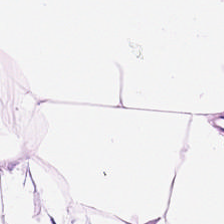H&E; 0.5 µm/px. This field is fat tissue.
